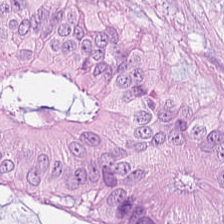H&E-stained tissue section — Q: Identify the tissue.
A: This is adenocarcinoma.
